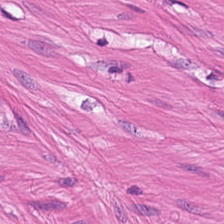Hematoxylin-and-eosin stained section.
Predominant tissue — muscularis.
